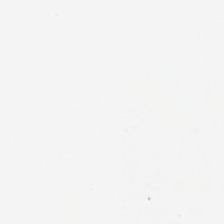Classification — no tissue.
